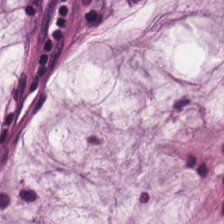224×224 px patch; 0.5 µm/px; hematoxylin and eosin. The tissue class is mucus.
